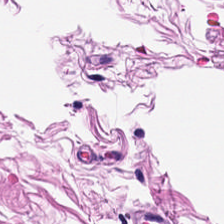The tissue here is smooth muscle.
